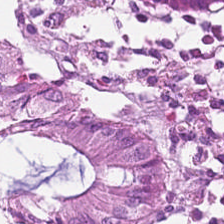H&E. Tissue type: benign colonic mucosa.
